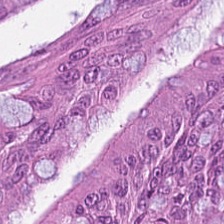Stain: H&E-stained tissue section.
Tissue: adenocarcinoma.
